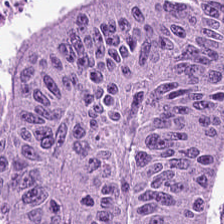Histology — adenocarcinoma.
